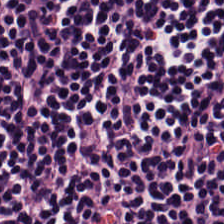H&E stain; 224×224 pixel tile. The tissue class is lymphocytes.
